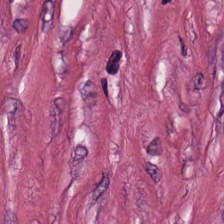Stain: H&E stain.
Predominant tissue: cancer-associated stroma.
